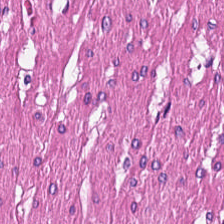Q: What does this patch show?
A: It is smooth muscle.
